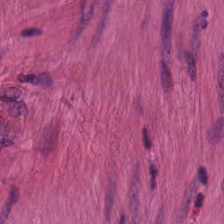0.5 microns per pixel. H&E stain — Showing smooth muscle.
